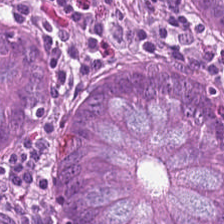Whole-slide-image patch; H&E — Predominantly normal colon mucosa.
